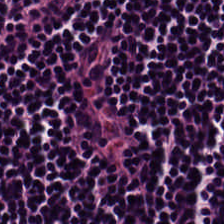H&E stain — The predominant tissue is lymphocytes.
